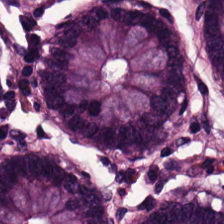The predominant tissue is non-neoplastic colon mucosa.
